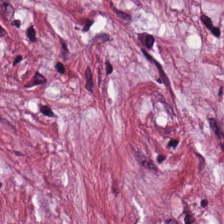H&E stain; brightfield microscopy. Showing tumor-associated stroma.
